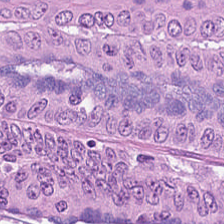224×224 pixel tile. WSI patch. Hematoxylin-and-eosin stained section. Q: What is the predominant tissue type?
A: It is colorectal adenocarcinoma.
